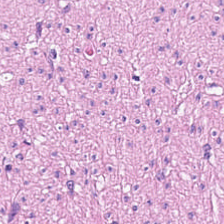H&E. FFPE.
Muscularis.
